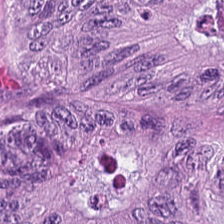Hematoxylin and eosin — Showing adenocarcinoma.
